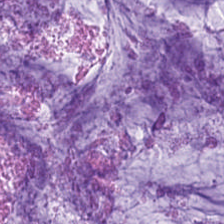Q: What does this patch show?
A: The field shows mucus.
